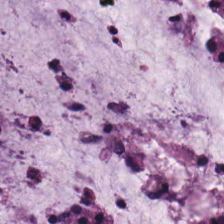H&E-stained tissue section. Q: What is shown here?
A: It is mucin.
